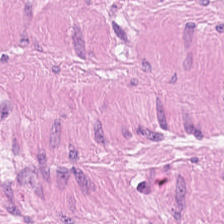Hematoxylin-and-eosin stained section. 224×224 pixel tile.
Smooth-muscle tissue.
